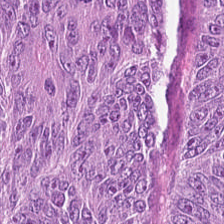H&E. FFPE. 224×224 px patch. Tissue — tumor epithelium.
